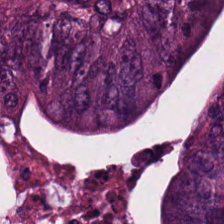Stain: hematoxylin and eosin.
Tissue class: colorectal adenocarcinoma.
